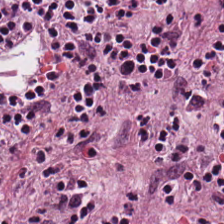Hematoxylin and eosin.
Classification = lymphocytic infiltrate.
